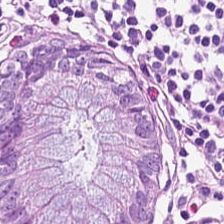H&E-stained tissue section.
This patch shows normal colonic mucosa.
